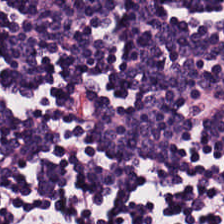Histology — lymphocyte aggregate.
